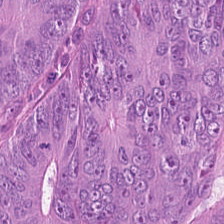Stain: H&E stain.
Preparation: formalin-fixed paraffin-embedded section.
Tissue: colorectal adenocarcinoma epithelium.
